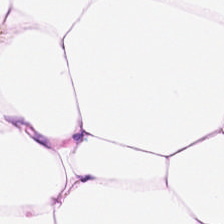H&E — Q: Identify the tissue.
A: It is fat tissue.
